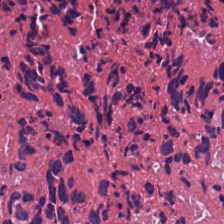H&E. Classification: debris.
